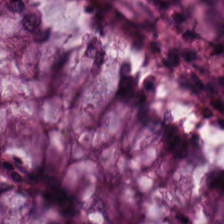Q: What is shown in this field?
A: The field shows non-neoplastic colon mucosa.
